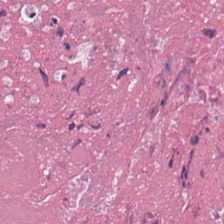H&E-stained tissue section. 0.5 µm/px. Q: Classify this patch.
A: This is debris.
